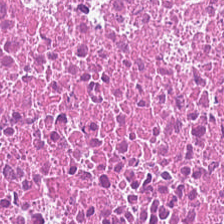Classification — necrotic debris.
